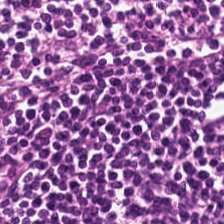H&E.
Q: What is the predominant tissue type?
A: This is lymphocytic infiltrate.
